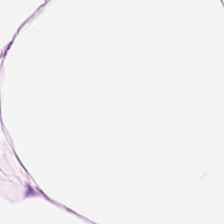This field is adipocytes.
